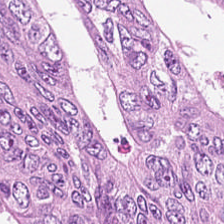20× equivalent magnification. 224×224 pixel tile. Hematoxylin and eosin — Classification = tumor epithelium.
